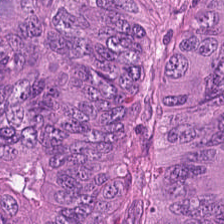Hematoxylin and eosin. This field is colorectal adenocarcinoma epithelium.
